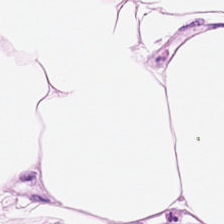Brightfield. H&E stain — {"tissue_type": "adipose"}
